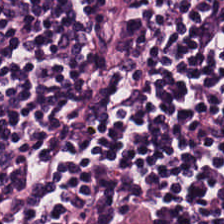Stain: H&E.
Tissue: lymphocyte aggregate.
